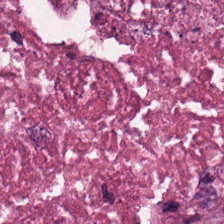Hematoxylin and eosin. Predominant tissue: cellular debris.
